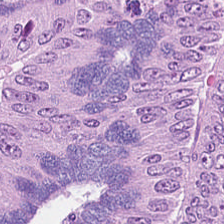H&E.
Q: Identify the tissue.
A: Colorectal adenocarcinoma epithelium.
